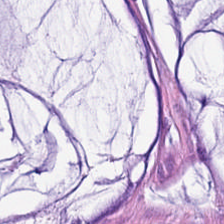Hematoxylin and eosin — Histology — mucus.
